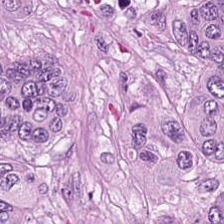{"tissue_type": "colorectal adenocarcinoma"}
